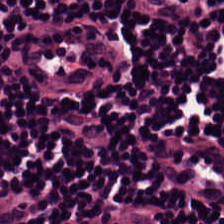Brightfield microscopy; H&E-stained tissue section.
This patch shows lymphocytic infiltrate.
